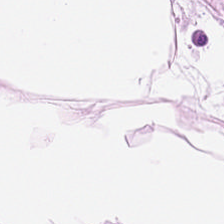{"tissue_type": "fat tissue"}
